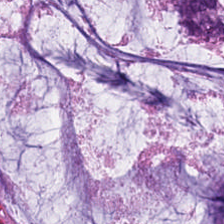Hematoxylin and eosin · 0.5 µm/px · 224×224 pixel tile.
Tissue type = mucin.
